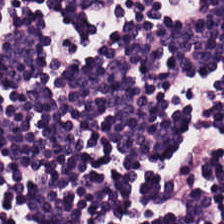H&E; WSI patch. Q: What type of tissue is this?
A: Lymphoid infiltrate.
